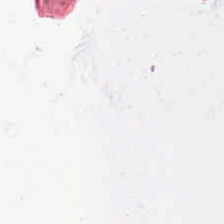20× equivalent magnification; hematoxylin-and-eosin stained section. Classification = no tissue.
